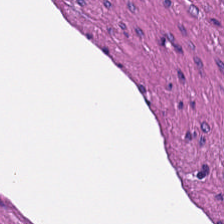H&E stain.
Q: Identify the tissue.
A: This is muscularis.
